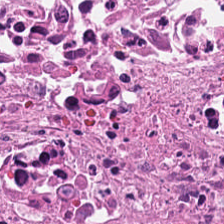H&E-stained tissue section — Q: What is the predominant tissue type?
A: Necrotic debris.
